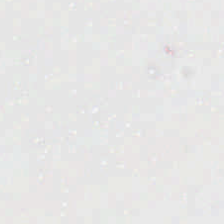H&E stain; 224×224 px tile; whole-slide-image patch. Q: What is shown here?
A: It is background.
